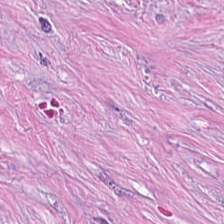H&E stain.
Finding → desmoplastic stroma.
